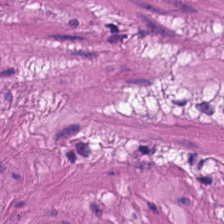The tissue type is smooth muscle.
